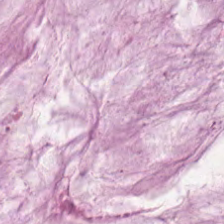Stain: hematoxylin and eosin.
Resolution: 0.5 microns per pixel.
Acquisition: brightfield.
Tissue: mucus.
